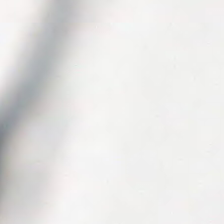H&E stain.
Background — no tissue in this field.
